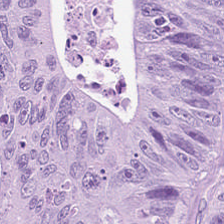Stain: hematoxylin-and-eosin stained section.
Resolution: 0.5 µm per pixel.
Classification: colorectal adenocarcinoma.
